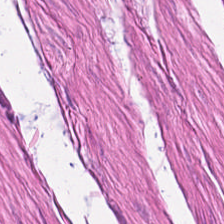FFPE tissue section · 224×224 px tile · H&E. {"tissue_type": "smooth-muscle tissue"}
